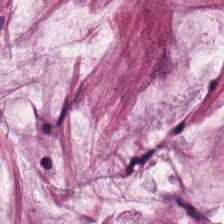Hematoxylin and eosin; 224×224 pixel tile — The tissue type is extracellular mucin.
